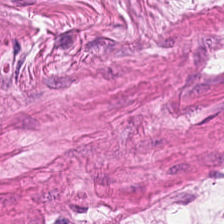Brightfield microscopy; H&E — Q: What tissue is shown?
A: It is smooth-muscle tissue.
